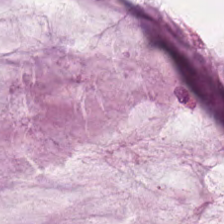Stain: H&E.
Resolution: 0.5 µm/px.
Preparation: FFPE.
Predominant tissue: mucin.
